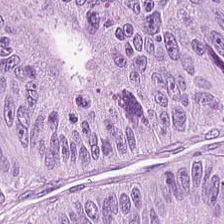Stain: hematoxylin-and-eosin stained section.
Tile size: 224×224 px tile.
Resolution: 0.5 µm per pixel.
Tissue: colorectal adenocarcinoma.
